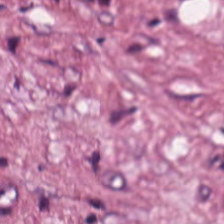H&E stain.
Q: What is shown in this field?
A: The field shows cancer-associated stroma.
